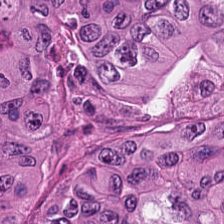Finding — colorectal adenocarcinoma.
